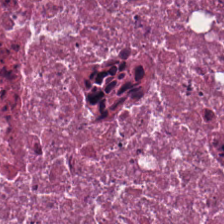Stain: hematoxylin and eosin.
Resolution: 0.5 µm per pixel.
Predominant tissue: debris.
